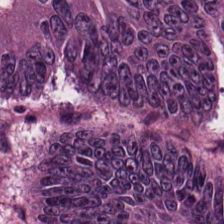H&E-stained tissue section. 20× equivalent magnification. Brightfield.
The tissue here is tumor epithelium.
